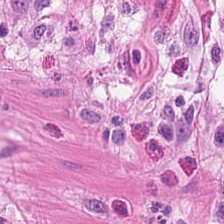H&E-stained tissue section. Q: What is the predominant tissue type?
A: Smooth muscle.
